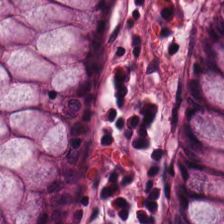H&E-stained tissue section. Formalin-fixed paraffin-embedded section. This patch shows normal colonic mucosa.
